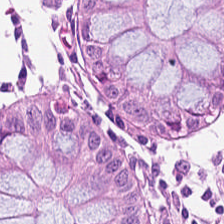Formalin-fixed paraffin-embedded section. 224×224 pixel tile. Hematoxylin and eosin.
Normal colon mucosa.
